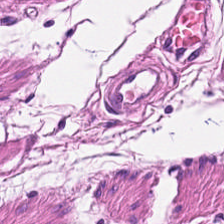Tissue: muscularis.
